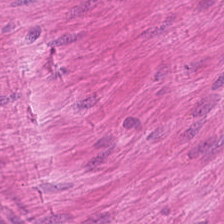Stain: H&E stain.
Tissue class: smooth muscle.
